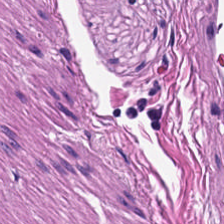H&E.
Q: Identify the tissue.
A: Muscularis.
